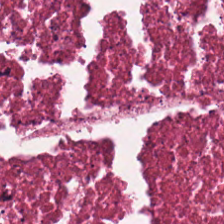Hematoxylin-and-eosin stained section · FFPE.
Tissue — cellular debris.
